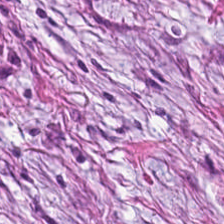H&E stain.
The tissue is tumor-associated stroma.
